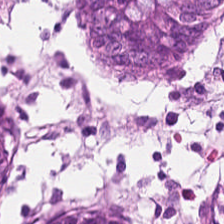FFPE tissue section · H&E stain.
Tissue type: normal colon mucosa.
